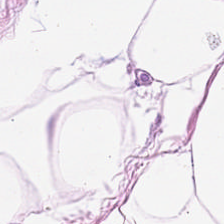Hematoxylin-and-eosin stained section; formalin-fixed paraffin-embedded section; 0.5 microns per pixel.
Showing fat tissue.
